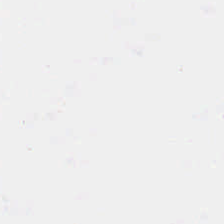Stain: H&E-stained tissue section.
Classification: no tissue.
